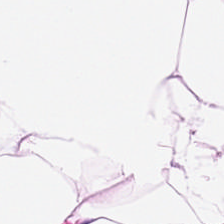Tissue type: fat tissue.
